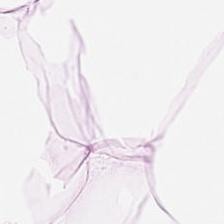224×224 px patch. H&E stain.
Q: What does this patch show?
A: The field shows fat tissue.
